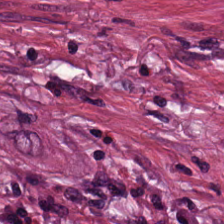The tissue is tumor-associated stroma.
